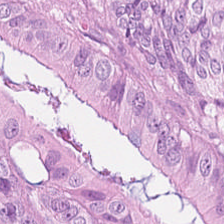Stain: H&E.
Tissue type: colorectal adenocarcinoma epithelium.
